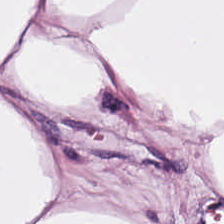H&E-stained tissue section.
The predominant tissue is adipose.
